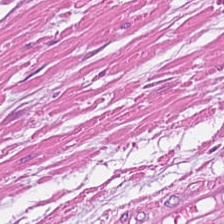0.5 µm/px · H&E stain. Q: What is shown in this field?
A: This is smooth-muscle tissue.
